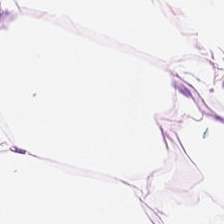H&E. This patch shows fat tissue.
